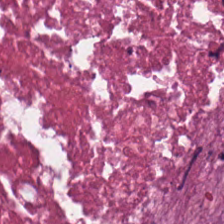Hematoxylin and eosin · FFPE tissue section · 0.5 µm/px. Showing necrotic debris.
